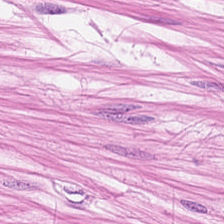H&E stain · 224×224 px patch. Q: What is shown in this field?
A: It is smooth-muscle tissue.
